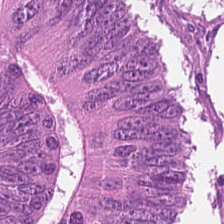H&E-stained tissue section — The predominant tissue is malignant epithelium.
